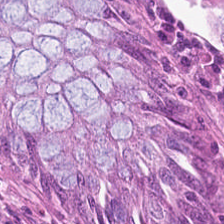FFPE tissue section · hematoxylin and eosin — This field is non-neoplastic colon mucosa.
